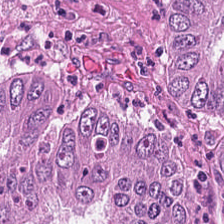0.5 microns per pixel · brightfield microscopy · hematoxylin and eosin. The predominant tissue is colorectal adenocarcinoma.
